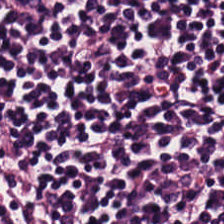H&E stain. 20× equivalent magnification. Formalin-fixed paraffin-embedded section.
Lymphocytic infiltrate.
